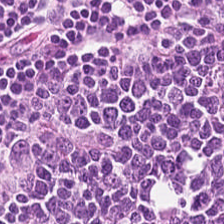Hematoxylin-and-eosin section: lymphocytic infiltrate.
